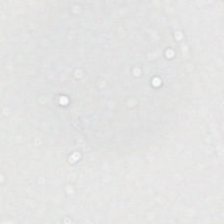{"content": "empty background"}
